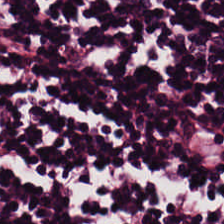Hematoxylin and eosin.
Q: Classify this patch.
A: It is lymphocytic infiltrate.
